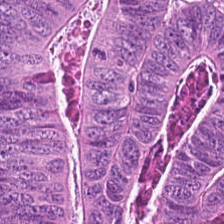Hematoxylin-and-eosin stained section; 224×224 px tile.
The tissue here is tumor epithelium.
